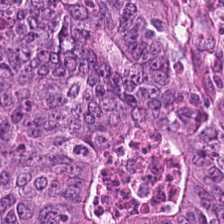H&E stain. Malignant epithelium.
